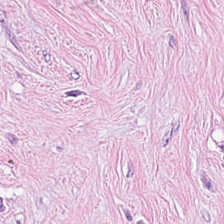Q: What is shown here?
A: It is desmoplastic stroma.
